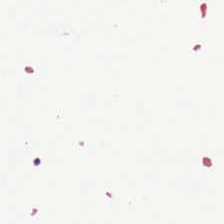This patch shows empty background.
